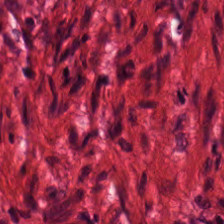0.5 microns per pixel; hematoxylin and eosin — Predominantly muscularis.
